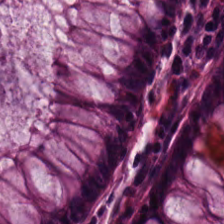0.5 µm/px · whole-slide-image patch · H&E stain.
This patch shows normal colonic mucosa.
